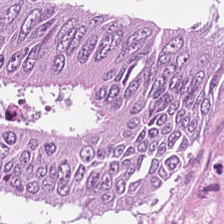H&E · brightfield · 224×224 px tile. The tissue here is tumor epithelium.
